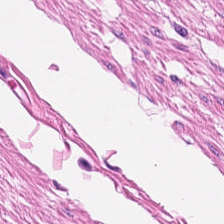Stain: H&E-stained tissue section.
Predominant tissue: smooth muscle.
